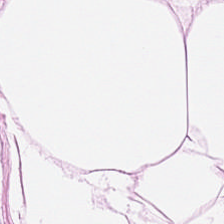H&E. Tissue type — adipose tissue.
